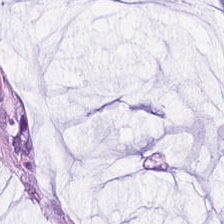Q: Classify this patch.
A: This is extracellular mucin.
